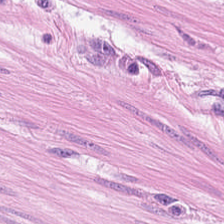H&E. Impression — smooth-muscle tissue.
